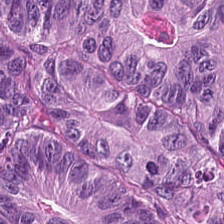Hematoxylin and eosin. Colorectal adenocarcinoma epithelium.
